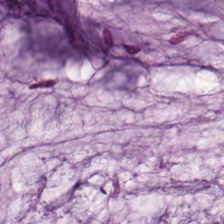Stain: hematoxylin-and-eosin stained section.
Acquisition: whole-slide-image patch.
Preparation: FFPE.
Tissue type: mucus.
